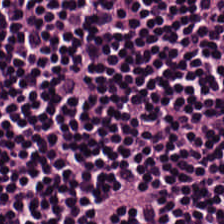Hematoxylin and eosin. 0.5 µm/px.
Showing lymphocyte aggregate.
